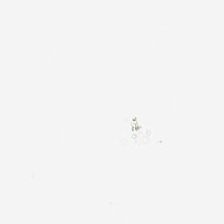H&E stain. This patch shows background.
